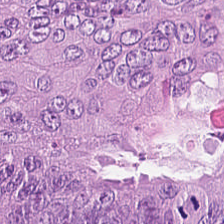Hematoxylin and eosin; FFPE tissue section — The tissue here is colorectal adenocarcinoma epithelium.
